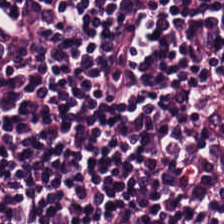20× equivalent magnification; hematoxylin-and-eosin stained section. The tissue here is lymphocyte aggregate.
